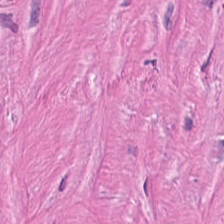Hematoxylin-and-eosin stained section. Q: What tissue type is shown here?
A: The field shows tumor-associated stroma.
